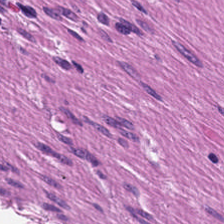H&E stain — Classification — smooth-muscle tissue.
